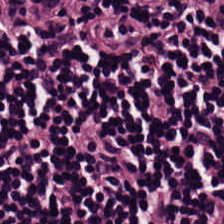Stain: hematoxylin and eosin.
Predominant tissue: lymphocytes.
